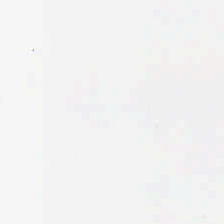Q: What is shown here?
A: This is empty background.
